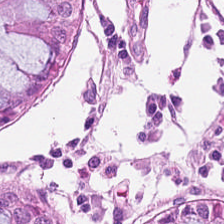Tissue — normal colonic mucosa.
